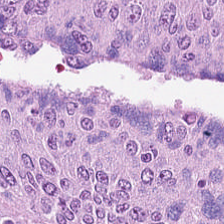FFPE tissue section; H&E stain. Q: What is shown in this field?
A: It is tumor epithelium.
